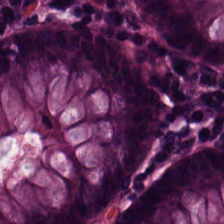{"tissue_type": "normal colonic mucosa"}
